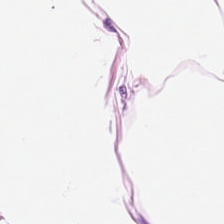H&E — fat tissue.
